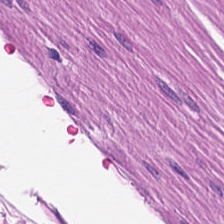224×224 pixel tile. H&E stain. The predominant tissue is muscularis.
